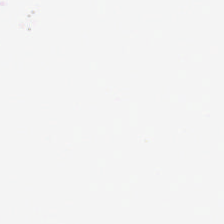Hematoxylin-and-eosin stained section.
Q: What is shown in this field?
A: It is background (no tissue).
